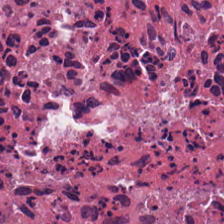Hematoxylin-and-eosin stained section. This patch shows debris.
